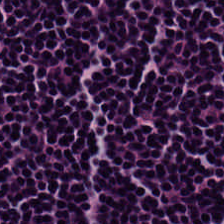Formalin-fixed paraffin-embedded section. 0.5 µm per pixel. H&E. Q: What is the predominant tissue type?
A: This is lymphocyte aggregate.
